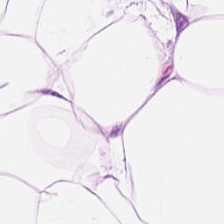0.5 µm per pixel; hematoxylin-and-eosin stained section. Fat tissue.
